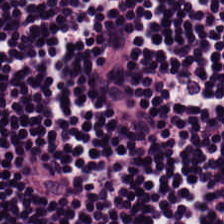Hematoxylin-and-eosin stained section; 20× equivalent magnification; 224×224 px patch — The classification is lymphocytes.
